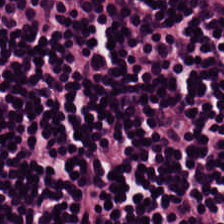H&E-stained tissue section. Q: What is the predominant tissue type?
A: It is lymphoid infiltrate.
